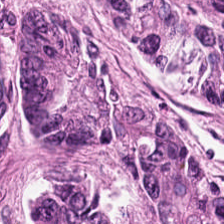H&E-stained tissue section — This field is tumor epithelium.
